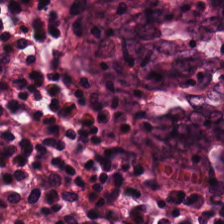H&E. The tissue here is normal colon mucosa.
